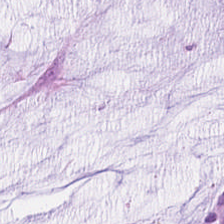H&E-stained tissue section. Q: Classify this patch.
A: It is extracellular mucin.
